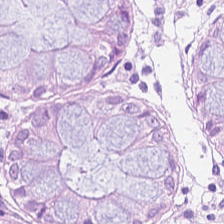H&E — Q: What is shown in this field?
A: The field shows non-neoplastic colon mucosa.
